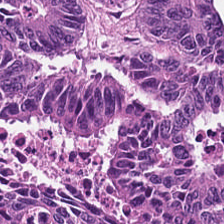Formalin-fixed paraffin-embedded section; hematoxylin-and-eosin stained section. The tissue type is malignant epithelium.
